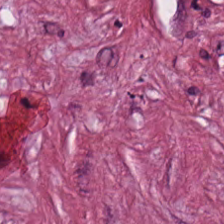Stain: hematoxylin-and-eosin stained section.
Classification: tumor stroma.
